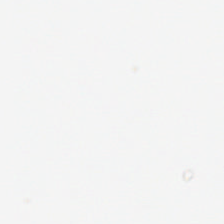224×224 px tile · FFPE tissue section · hematoxylin-and-eosin stained section. Q: What is shown here?
A: No tissue.
